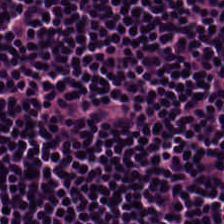Hematoxylin and eosin — Q: What is the predominant tissue type?
A: It is lymphoid infiltrate.
